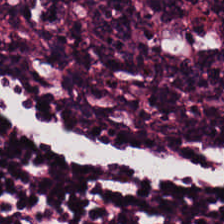Hematoxylin and eosin · 0.5 µm per pixel · 224×224 px patch. Tissue class: lymphoid infiltrate.
